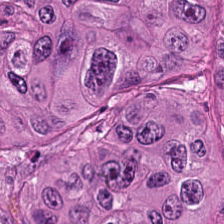Tissue = tumor epithelium.
